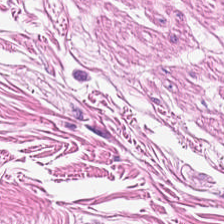H&E — Tissue class: muscularis.
